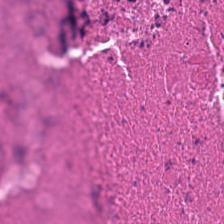H&E stain — The tissue here is necrotic debris.
